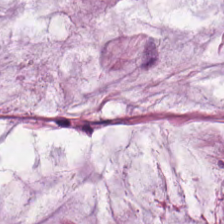Hematoxylin and eosin — Tissue: mucus.
